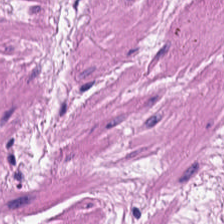FFPE. H&E stain. 224×224 px patch. This patch shows smooth-muscle tissue.
